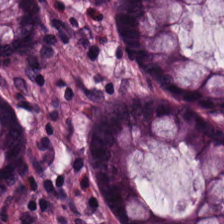H&E stain.
Predominant tissue — benign colonic mucosa.
